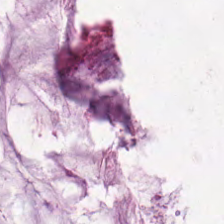H&E patch showing mucus.
